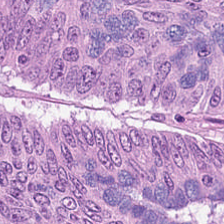0.5 µm per pixel. Hematoxylin-and-eosin stained section. Formalin-fixed paraffin-embedded section. This patch shows adenocarcinoma.
